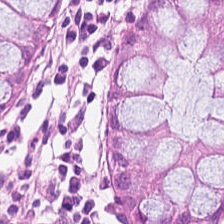H&E-stained tissue section — Q: What is the predominant tissue type?
A: The field shows non-neoplastic colon mucosa.
